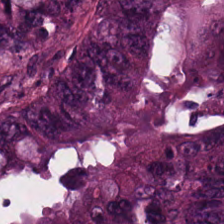Hematoxylin and eosin. Tumor epithelium.
